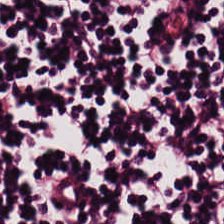Whole-slide-image patch. H&E stain.
Q: What is shown here?
A: This is lymphoid infiltrate.
